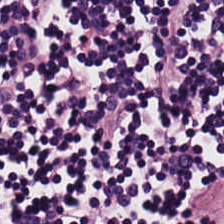Stain: hematoxylin-and-eosin stained section.
Tile size: 224×224 px patch.
Tissue: lymphocytic infiltrate.
